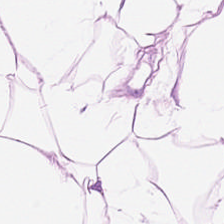Hematoxylin-and-eosin stained section.
Q: What does this patch show?
A: It is adipocytes.
